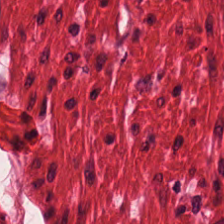Hematoxylin-and-eosin stained section — Predominant tissue = muscularis.
